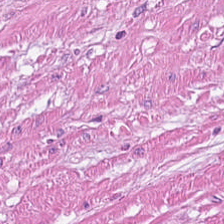H&E · brightfield. Smooth-muscle tissue.
